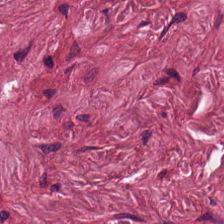Stain: hematoxylin and eosin.
Tissue type: tumor-associated stroma.
